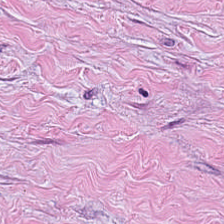H&E-stained tissue section.
Impression — desmoplastic stroma.
